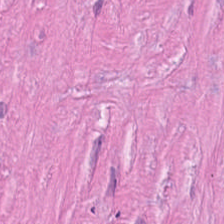224×224 px patch. H&E-stained tissue section.
Desmoplastic stroma.
